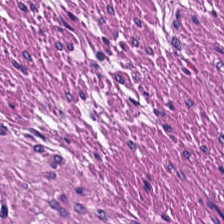This field is smooth-muscle tissue.
